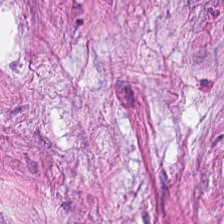H&E. Q: Identify the tissue.
A: The field shows desmoplastic stroma.
